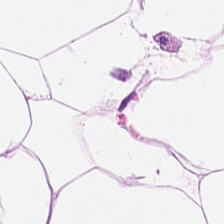Formalin-fixed paraffin-embedded section. 0.5 microns per pixel. H&E stain. Predominant tissue — adipose.
